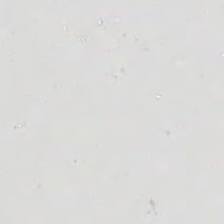H&E-stained tissue section.
Histology → background (no tissue).
